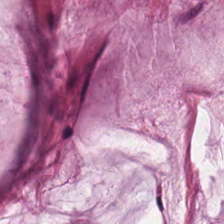FFPE · hematoxylin-and-eosin stained section · 224×224 px patch — This field is mucus.
